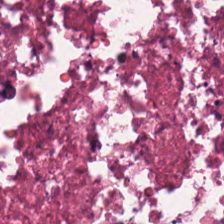Stain: H&E.
Tissue type: necrotic debris.
